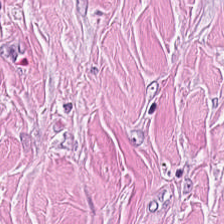Stain: H&E.
Classification: tumor stroma.
